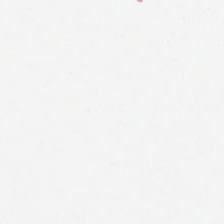H&E-stained tissue section.
Q: Classify this patch.
A: This is background.
